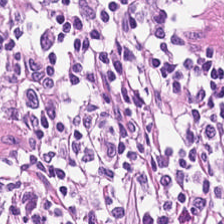The predominant tissue is lymphoid infiltrate.
